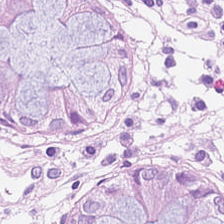H&E-stained tissue section. This field is non-neoplastic colon mucosa.
